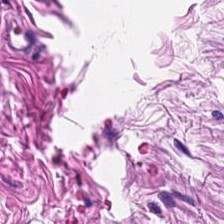The predominant tissue is smooth muscle.
